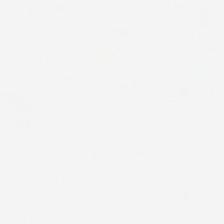Classification = background (no tissue).
